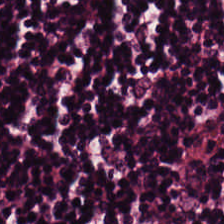Hematoxylin and eosin.
The tissue here is lymphocyte aggregate.
